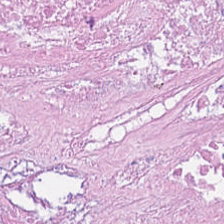Q: What type of tissue is this?
A: This is cellular debris.
